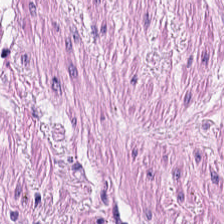Q: What is shown in this field?
A: Muscularis.
